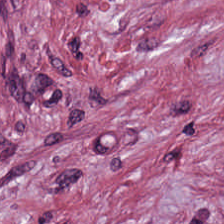Hematoxylin-and-eosin stained section. Showing cancer-associated stroma.
